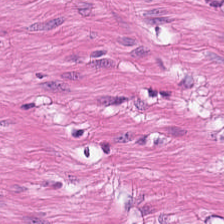Tissue type = smooth muscle.
